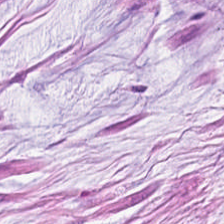0.5 µm/px; 224×224 pixel tile; hematoxylin and eosin — Finding — extracellular mucin.
